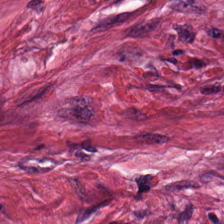H&E.
Showing tumor stroma.
